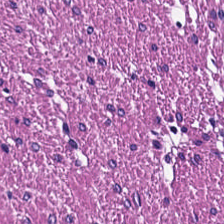The predominant tissue is smooth muscle.
